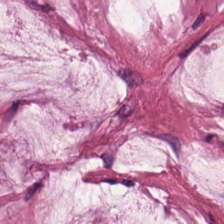FFPE · 224×224 pixel tile · H&E-stained tissue section. Q: What tissue is shown?
A: The field shows mucin.
